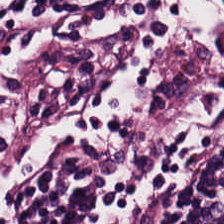{"tissue_type": "lymphocyte aggregate"}
